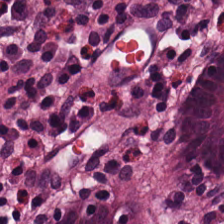H&E stain. Tissue = normal colon mucosa.
